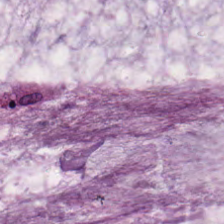Q: What is shown here?
A: It is mucus.
